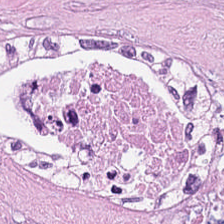Hematoxylin and eosin — The tissue here is necrotic debris.
